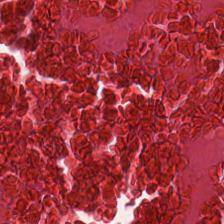Stain: H&E.
Tissue type: debris.
